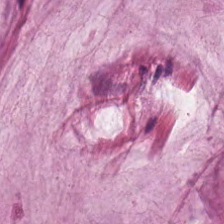Impression — extracellular mucin.
